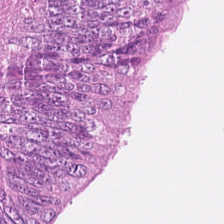Hematoxylin-and-eosin stained section.
This patch shows colorectal adenocarcinoma epithelium.
